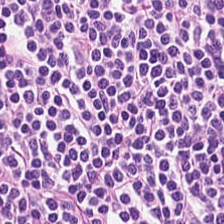H&E stain. 224×224 pixel tile. Predominant tissue = lymphocytes.
